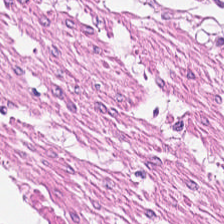H&E-stained tissue section; FFPE.
The classification is muscularis.
